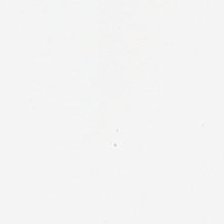H&E; brightfield. No tissue present; background only.
